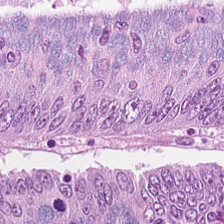H&E stain. Tissue type = malignant epithelium.
